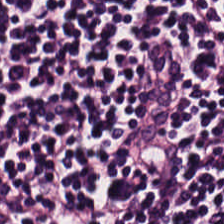H&E — lymphocytic infiltrate.
